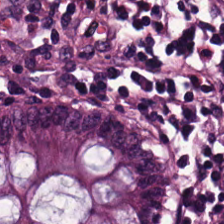Hematoxylin-and-eosin stained section. Formalin-fixed paraffin-embedded section. Benign colonic mucosa.
